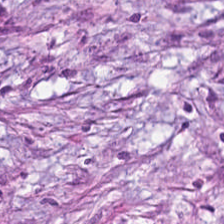224×224 px patch · hematoxylin-and-eosin stained section · brightfield microscopy — The tissue here is tumor stroma.
